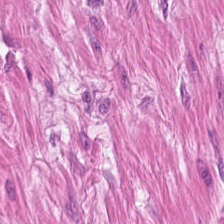Brightfield microscopy · hematoxylin and eosin.
Classification — muscularis.
